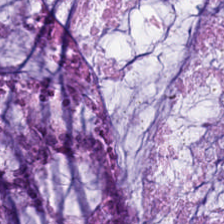Stain: H&E stain.
Tissue: extracellular mucin.
